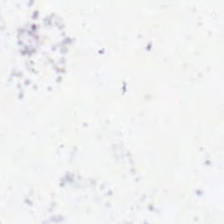H&E stain. FFPE. Whole-slide-image patch — Classification — empty background.
